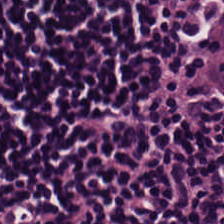H&E-stained tissue section.
Impression → lymphocytes.
